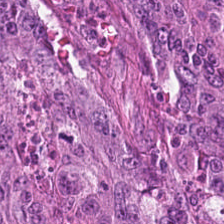Q: What type of tissue is this?
A: The field shows malignant epithelium.
